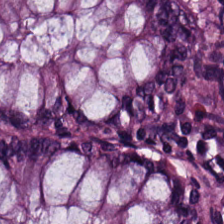Predominant tissue = non-neoplastic colon mucosa.
